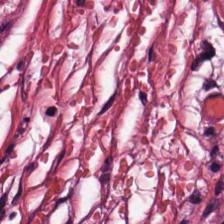Hematoxylin and eosin · WSI patch — Predominantly tumor-associated stroma.
